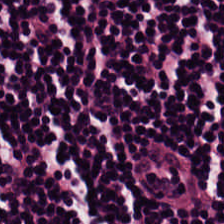WSI patch · 20× equivalent magnification · hematoxylin-and-eosin stained section. Classification: lymphocyte aggregate.
